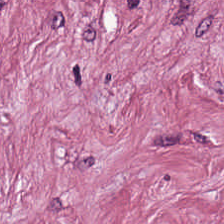The tissue type is tumor stroma.
